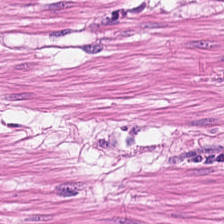H&E stain.
Predominantly muscularis.
